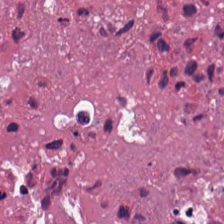Stain: H&E.
Predominant tissue: necrotic debris.
